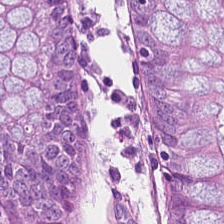The tissue here is normal colonic mucosa.
